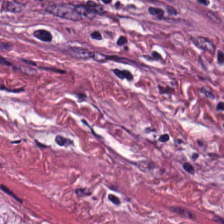H&E-stained section; the field shows desmoplastic stroma.
